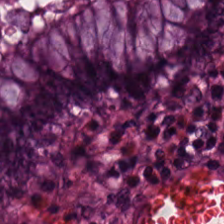H&E-stained tissue section.
Predominantly non-neoplastic colon mucosa.
